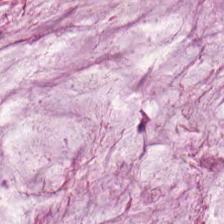224×224 px patch; hematoxylin-and-eosin stained section — Histology — mucin.
